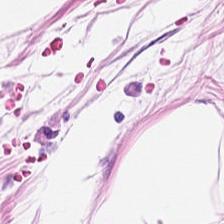H&E — Q: What is the predominant tissue type?
A: It is fat tissue.
